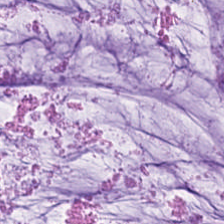FFPE tissue section; hematoxylin-and-eosin stained section.
This patch shows mucin.
